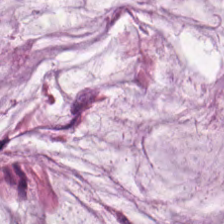Q: Identify the tissue.
A: This is mucin.
